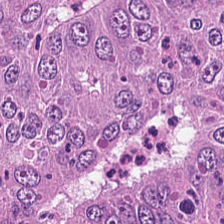The tissue here is adenocarcinoma.
